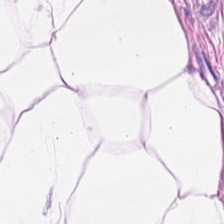Stain: H&E.
Predominant tissue: adipose tissue.
